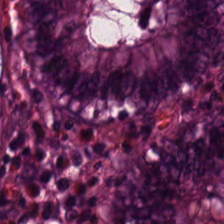Brightfield microscopy; 0.5 µm/px; hematoxylin-and-eosin stained section.
Predominantly non-neoplastic colon mucosa.
